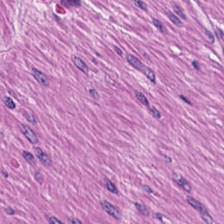H&E-stained tissue section. Tissue type — muscularis.
